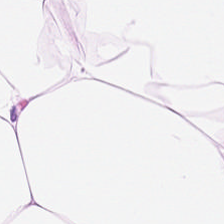H&E-stained tissue section. Finding → adipose.
